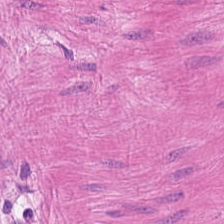224×224 px tile; H&E stain.
This patch shows smooth-muscle tissue.
